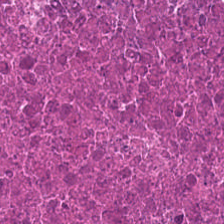H&E — This patch shows debris.
